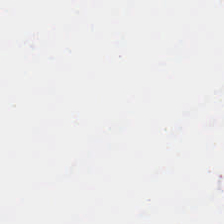H&E stain — Background — no tissue in this field.
